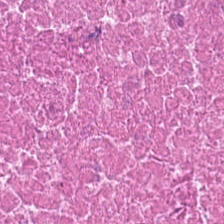H&E.
Q: What is shown here?
A: The field shows cellular debris.
